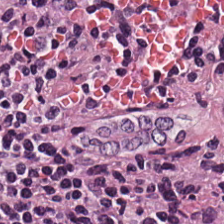H&E stain · 224×224 px patch. Q: What is shown here?
A: It is lymphocytic infiltrate.
